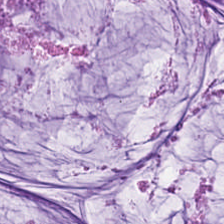Stain: H&E-stained tissue section.
Predominant tissue: mucus.
